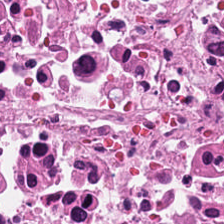Hematoxylin and eosin. FFPE. Impression — cellular debris.
